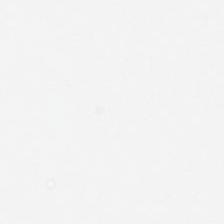Hematoxylin-and-eosin stained section. Finding → background (no tissue).
